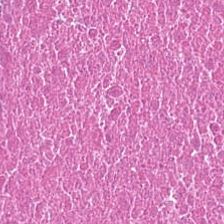H&E-stained tissue section. 20× equivalent magnification. Formalin-fixed paraffin-embedded section — Tissue type: necrotic debris.
